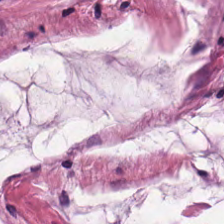H&E stain. The predominant tissue is mucin.
